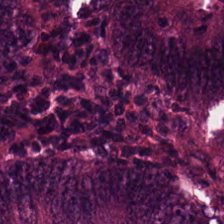Formalin-fixed paraffin-embedded section · H&E-stained tissue section — The predominant tissue is colorectal adenocarcinoma epithelium.
